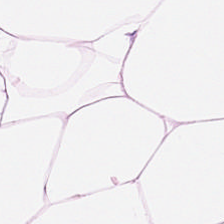Finding — adipose.
